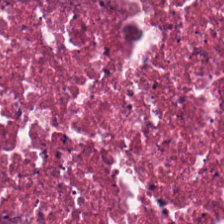Hematoxylin-and-eosin stained section · 0.5 microns per pixel · 224×224 px patch — Predominantly necrotic debris.
